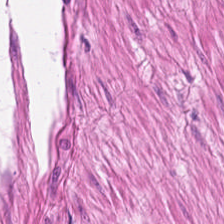224×224 pixel tile · H&E-stained tissue section · brightfield. Impression — smooth-muscle tissue.
